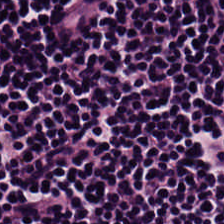Hematoxylin and eosin — The tissue here is lymphocytes.
